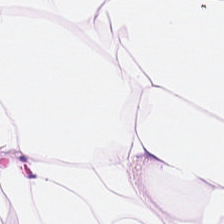H&E stain. Histology — adipose.
